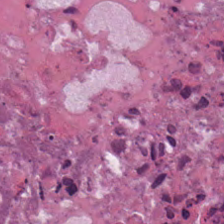Stain: H&E stain.
Preparation: formalin-fixed paraffin-embedded section.
Resolution: 20× equivalent magnification.
Tissue type: cellular debris.
